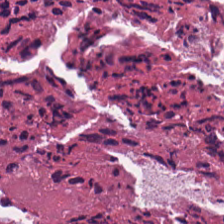H&E-stained tissue section. Predominantly cellular debris.
